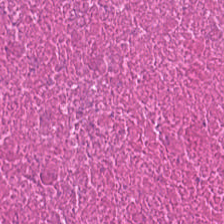FFPE · H&E stain — Finding — cellular debris.
